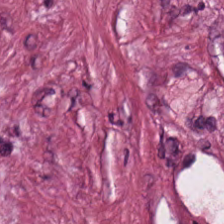H&E — Q: What tissue type is shown here?
A: It is desmoplastic stroma.
